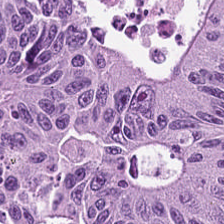The predominant tissue is adenocarcinoma.
